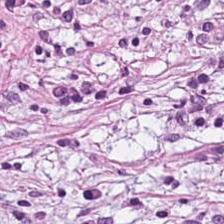Stain: hematoxylin and eosin.
Acquisition: whole-slide-image patch.
Tile size: 224×224 pixel tile.
Tissue class: cancer-associated stroma.
